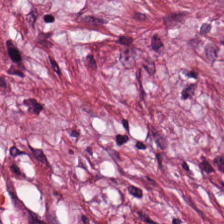Predominantly desmoplastic stroma.
